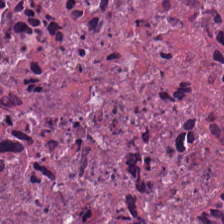Hematoxylin and eosin — This field is necrotic debris.
